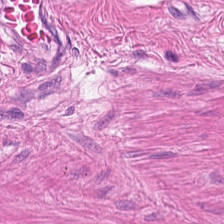H&E stain.
This patch shows smooth-muscle tissue.
